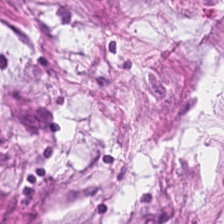Predominantly tumor stroma.
